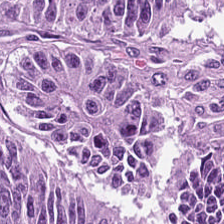FFPE; hematoxylin-and-eosin stained section — Tissue type = malignant epithelium.
